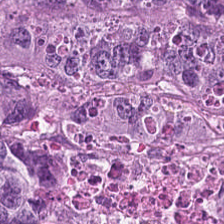H&E-stained tissue section. Tissue — colorectal adenocarcinoma epithelium.
